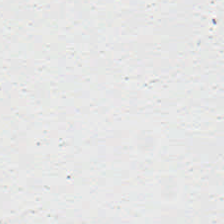{"content": "empty background"}
